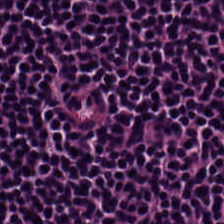Stain: hematoxylin and eosin.
Preparation: FFPE.
Tissue: lymphocyte aggregate.
